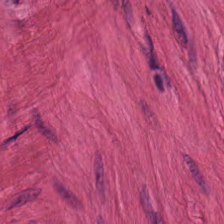Q: What tissue is shown?
A: This is smooth muscle.
